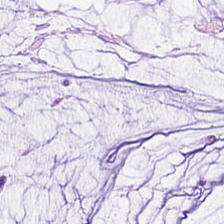Hematoxylin-and-eosin stained section. Classification — extracellular mucin.
